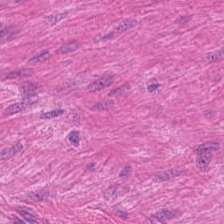WSI patch. Hematoxylin-and-eosin stained section.
{"tissue_type": "smooth muscle"}
